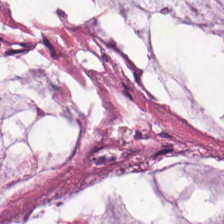H&E-stained tissue section.
Impression — mucin.
